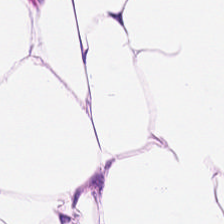Stain: H&E stain.
Tissue: adipose.
